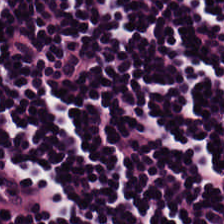H&E-stained tissue section. Q: What tissue type is shown here?
A: It is lymphocytic infiltrate.
